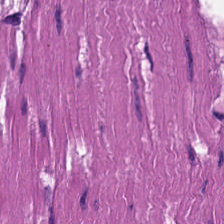Hematoxylin-and-eosin stained section — Q: What is shown here?
A: This is muscularis.
